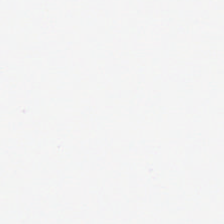H&E stain — No tissue present; background only.
